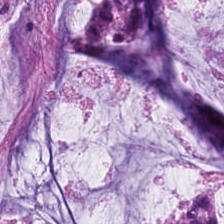Hematoxylin-and-eosin stained section — This field is mucus.
